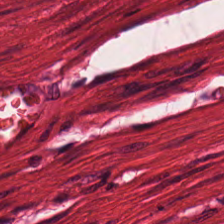Q: Classify this patch.
A: The field shows smooth muscle.
